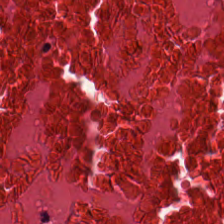Stain: hematoxylin-and-eosin stained section.
Tile size: 224×224 px patch.
Tissue type: cellular debris.
